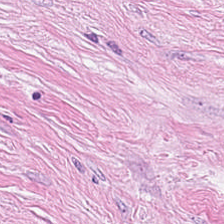Hematoxylin-and-eosin stained section. Predominantly tumor stroma.
